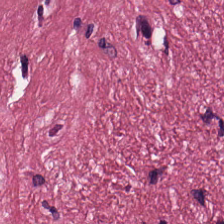Stain: hematoxylin-and-eosin stained section.
Tissue: tumor-associated stroma.
